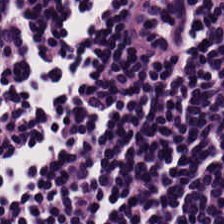Q: Identify the tissue.
A: The field shows lymphoid infiltrate.
